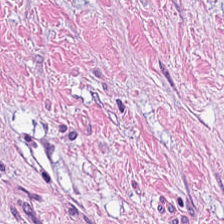224×224 px tile; 0.5 µm/px; H&E.
{"tissue_type": "tumor-associated stroma"}
